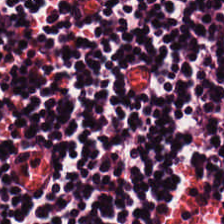H&E. Histology — lymphocytic infiltrate.
